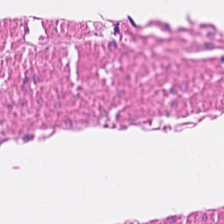FFPE tissue section. Whole-slide-image patch. H&E-stained tissue section — Tissue: smooth-muscle tissue.
